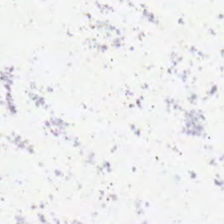H&E. Whole-slide-image patch.
Classification: empty background.
